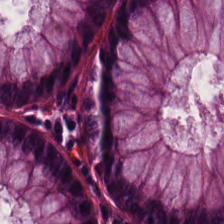H&E — Tissue type: non-neoplastic colon mucosa.
